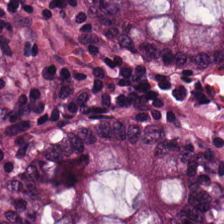224×224 pixel tile. H&E. WSI patch — Q: What is shown here?
A: It is normal colon mucosa.
